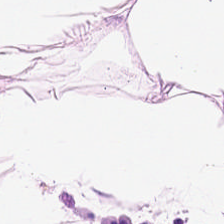H&E stain.
{"tissue_type": "adipose"}
